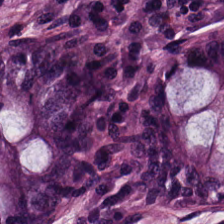Q: What does this patch show?
A: It is benign colonic mucosa.
